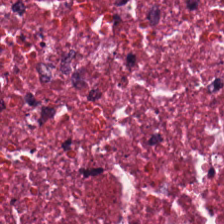Stain: H&E.
Preparation: FFPE tissue section.
Tile size: 224×224 px patch.
Tissue class: necrotic debris.
